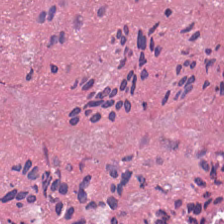FFPE · H&E-stained tissue section. Tissue class = debris.
